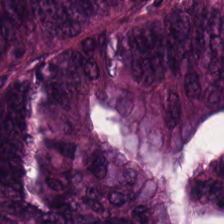0.5 microns per pixel; formalin-fixed paraffin-embedded section; H&E — This field is colorectal adenocarcinoma epithelium.
